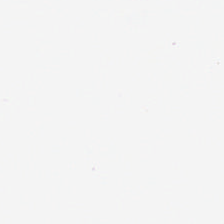H&E. Brightfield.
Empty field — background.
